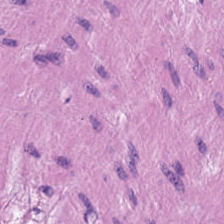0.5 µm per pixel; 224×224 px patch; H&E stain — Smooth-muscle tissue.
